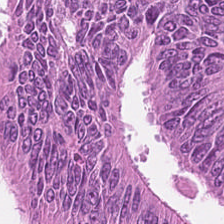224×224 pixel tile; H&E-stained tissue section — The predominant tissue is tumor epithelium.
